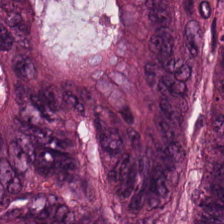Hematoxylin-and-eosin stained section. The tissue class is colorectal adenocarcinoma epithelium.
